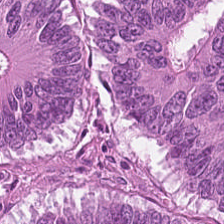WSI patch · hematoxylin and eosin · FFPE — This patch shows tumor epithelium.
